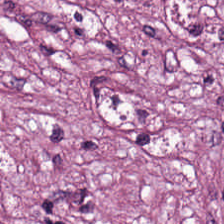H&E-stained tissue section. The tissue type is cancer-associated stroma.
